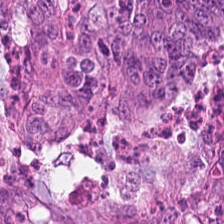224×224 px patch. Hematoxylin and eosin. The tissue is malignant epithelium.
